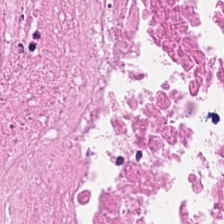The tissue class is necrotic debris.
